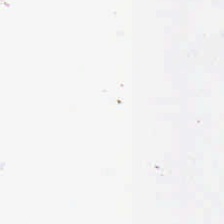Hematoxylin and eosin. 224×224 px patch — Classification — empty background.
